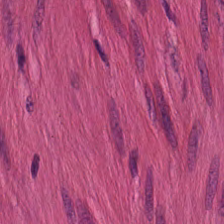Hematoxylin and eosin. 0.5 microns per pixel. Tissue class = smooth muscle.
